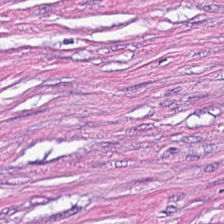224×224 pixel tile. H&E stain — The predominant tissue is desmoplastic stroma.
